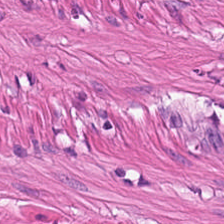H&E stain.
The tissue here is muscularis.
